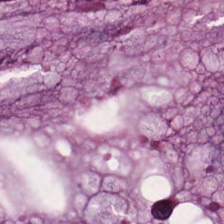H&E stain. FFPE.
Histology — mucus.
